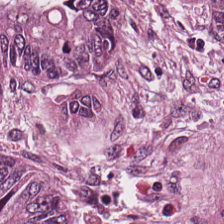Brightfield microscopy · H&E-stained tissue section — Predominant tissue = colorectal adenocarcinoma.
